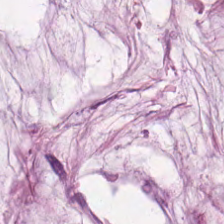224×224 px patch; H&E stain. Classification: mucus.
